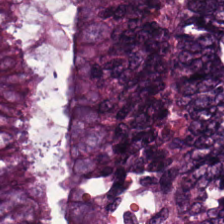Hematoxylin-and-eosin stained section; whole-slide-image patch; FFPE tissue section.
Predominantly adenocarcinoma.
